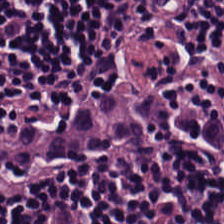Stain: H&E stain.
Preparation: formalin-fixed paraffin-embedded section.
Tile size: 224×224 pixel tile.
Tissue type: lymphocyte aggregate.
